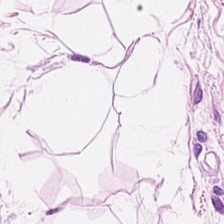224×224 pixel tile · hematoxylin-and-eosin stained section.
The tissue type is adipose.
